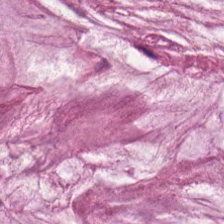224×224 px patch; formalin-fixed paraffin-embedded section; H&E — {"tissue_type": "mucin"}
